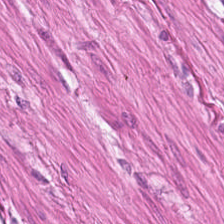This patch shows muscularis.
